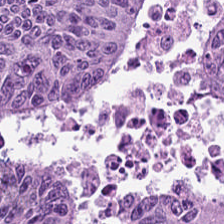H&E-stained tissue section. 224×224 px tile. {"tissue_type": "malignant epithelium"}
